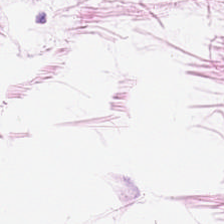Hematoxylin and eosin — Predominant tissue — adipocytes.
